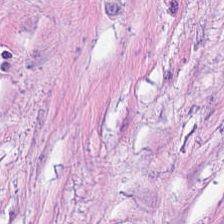Stain: H&E-stained tissue section.
Preparation: formalin-fixed paraffin-embedded section.
Predominant tissue: tumor stroma.
